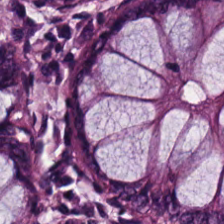Hematoxylin and eosin.
Q: Classify this patch.
A: Benign colonic mucosa.
